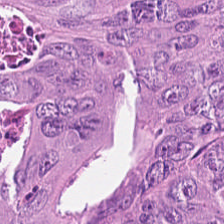Stain: hematoxylin-and-eosin stained section.
Classification: colorectal adenocarcinoma epithelium.
